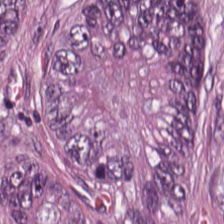Stain: hematoxylin-and-eosin stained section.
Preparation: FFPE.
Predominant tissue: adenocarcinoma.
